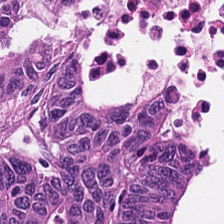H&E — Classification: malignant epithelium.
